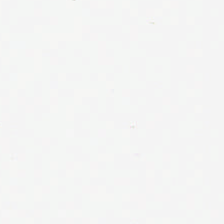FFPE tissue section · H&E-stained tissue section. {"content": "background"}
